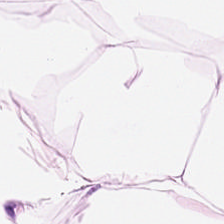Histology — adipose tissue.
